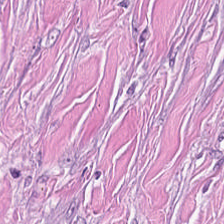Predominant tissue — tumor stroma.
